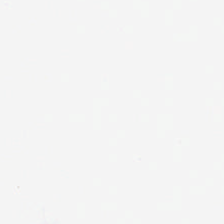H&E stain. Whole-slide-image patch.
Field content — background.
